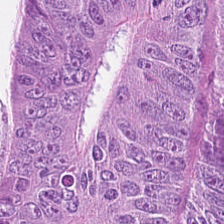H&E stain.
Q: Identify the tissue.
A: This is tumor epithelium.
